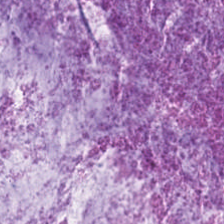Stain: H&E-stained tissue section.
Tissue: mucus.
